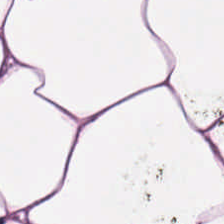Stain: H&E-stained tissue section.
Tissue class: fat tissue.
